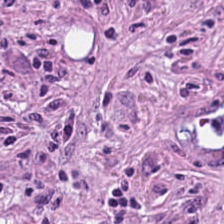Finding — cancer-associated stroma.
